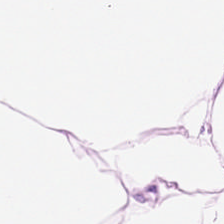Classification — adipocytes.
